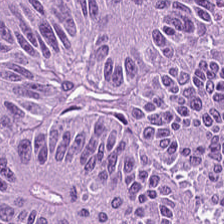Hematoxylin and eosin.
The tissue is adenocarcinoma.
